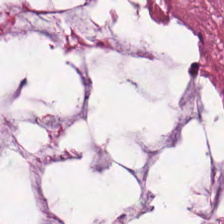The predominant tissue is mucin.
